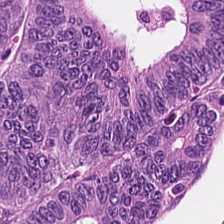H&E patch showing colorectal adenocarcinoma epithelium.
